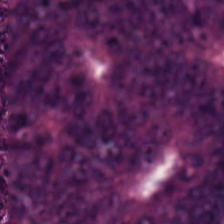H&E stain.
Predominantly adenocarcinoma.
